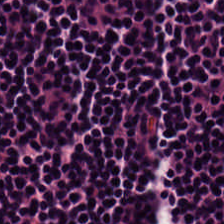Formalin-fixed paraffin-embedded section; H&E-stained tissue section; 224×224 px tile. Showing lymphoid infiltrate.
